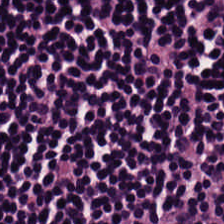224×224 pixel tile. 0.5 µm/px. H&E stain — Q: What is shown here?
A: Lymphocytes.
